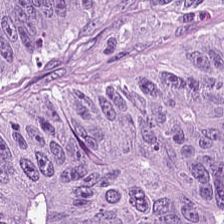Hematoxylin-and-eosin stained section — Predominantly malignant epithelium.
